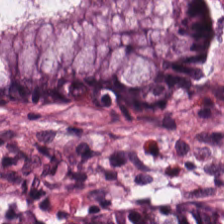Hematoxylin and eosin. 224×224 px tile. Classification = non-neoplastic colon mucosa.
